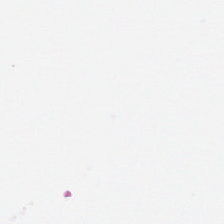Content = background.
